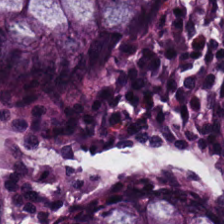Hematoxylin-and-eosin stained section; 20× equivalent magnification — Q: What tissue type is shown here?
A: This is normal colon mucosa.
